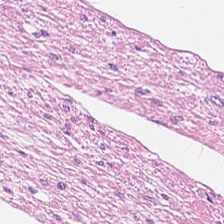Hematoxylin and eosin. Impression — smooth muscle.
